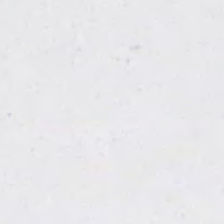Background (no tissue).
